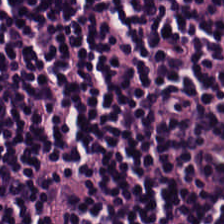H&E stain — The predominant tissue is lymphocytes.
